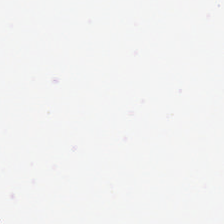Hematoxylin and eosin.
Content: empty background.
